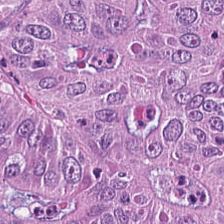Hematoxylin-and-eosin stained section. The tissue here is colorectal adenocarcinoma epithelium.
